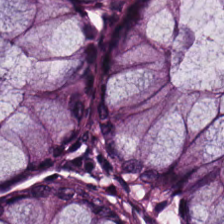Hematoxylin and eosin. Predominantly non-neoplastic colon mucosa.
